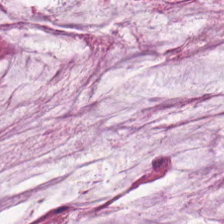H&E-stained tissue section showing mucin.
